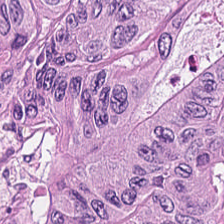FFPE tissue section; 0.5 µm per pixel; H&E stain — Tissue = malignant epithelium.
